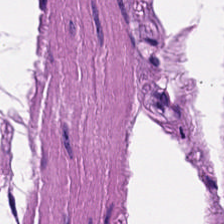Stain: H&E-stained tissue section.
Tissue class: smooth muscle.
